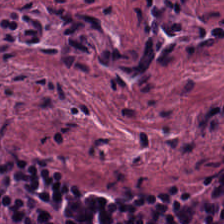Whole-slide-image patch · H&E stain.
Predominant tissue — lymphocyte aggregate.
